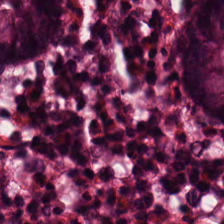Brightfield microscopy · H&E-stained tissue section. The predominant tissue is non-neoplastic colon mucosa.
